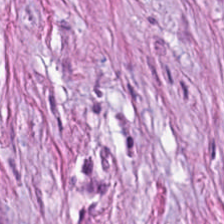H&E-stained tissue section — The predominant tissue is cancer-associated stroma.
